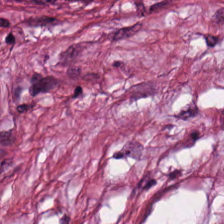Whole-slide-image patch; H&E stain.
Showing tumor-associated stroma.
